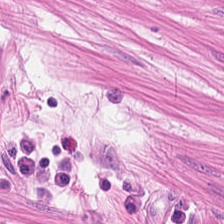Stain: H&E.
Acquisition: whole-slide-image patch.
Tissue class: smooth-muscle tissue.
